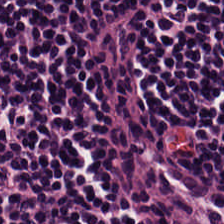Stain: H&E stain.
Acquisition: brightfield microscopy.
Tissue class: lymphocytic infiltrate.
